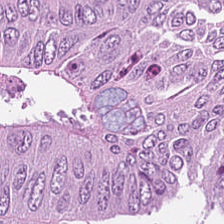Hematoxylin-and-eosin stained section — Histology → adenocarcinoma.
